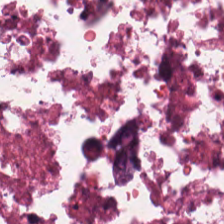Finding → necrotic debris.
